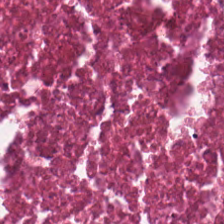0.5 microns per pixel · hematoxylin-and-eosin stained section.
Q: Identify the tissue.
A: It is necrotic debris.
